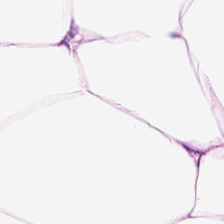Predominant tissue — fat tissue.
